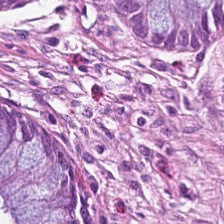Hematoxylin and eosin.
Q: What tissue is shown?
A: It is benign colonic mucosa.
